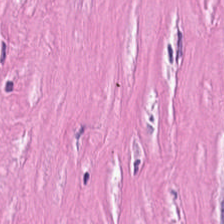0.5 µm/px · H&E-stained tissue section.
This patch shows tumor-associated stroma.
